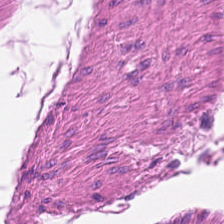H&E-stained tissue section · 20× equivalent magnification.
Showing muscularis.
